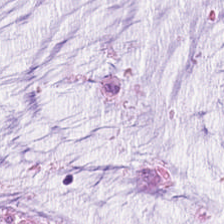FFPE tissue section; hematoxylin-and-eosin stained section; 224×224 px tile. Tissue: mucus.
